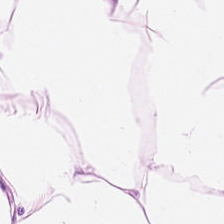H&E stain. FFPE tissue section — Tissue type — adipocytes.
